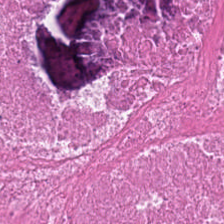Stain: H&E.
Tissue type: necrotic debris.
